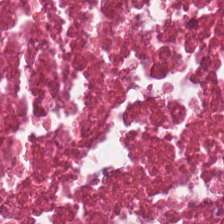FFPE tissue section. 0.5 microns per pixel. Hematoxylin and eosin — Q: What is the predominant tissue type?
A: It is cellular debris.
